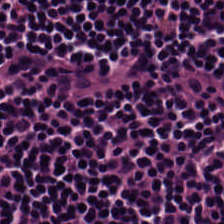0.5 µm/px. Hematoxylin and eosin. 224×224 px tile.
Tissue type: lymphocytic infiltrate.
